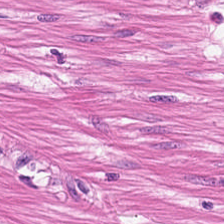Hematoxylin and eosin.
{"tissue_type": "smooth muscle"}
